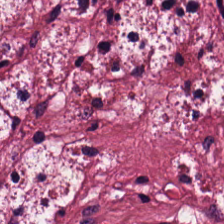H&E-stained tissue section.
The tissue here is tumor stroma.
